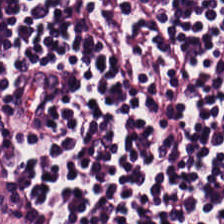H&E; formalin-fixed paraffin-embedded section — Q: What tissue type is shown here?
A: The field shows lymphocytic infiltrate.
